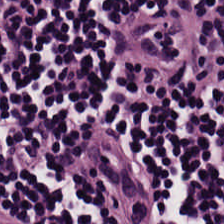Lymphocytes.
